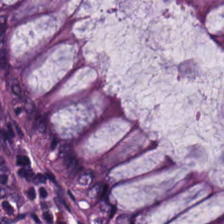Hematoxylin-and-eosin stained section.
Q: What tissue type is shown here?
A: This is normal colonic mucosa.
